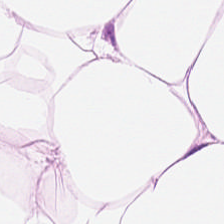Hematoxylin-and-eosin stained section. Tissue type = fat tissue.
